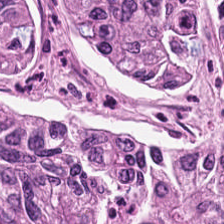FFPE tissue section · hematoxylin-and-eosin stained section · 224×224 px tile — This patch shows tumor epithelium.
